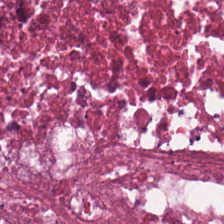H&E-stained tissue section.
Tissue type = necrotic debris.
